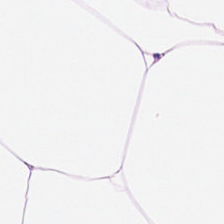0.5 microns per pixel. H&E. This field is adipocytes.
